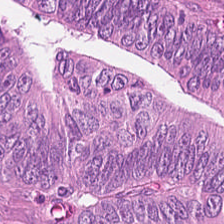Stain: hematoxylin-and-eosin stained section.
Tissue class: tumor epithelium.
